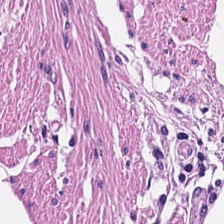Hematoxylin and eosin. Finding — smooth-muscle tissue.
